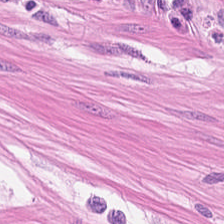H&E-stained section; the field shows smooth muscle.
